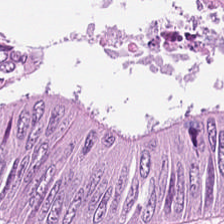H&E.
Tumor epithelium.
